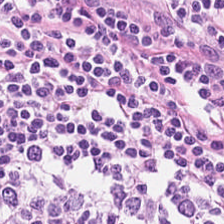Hematoxylin and eosin. Q: What tissue is shown?
A: This is lymphocyte aggregate.
